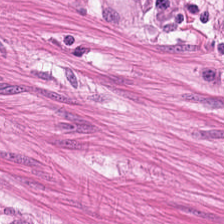H&E stain.
The predominant tissue is muscularis.
